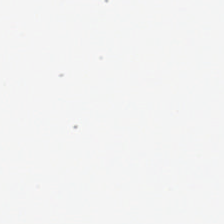H&E — Q: What does this patch show?
A: This is background (no tissue).
